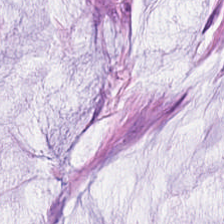Q: What does this patch show?
A: Mucin.
